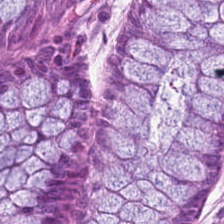H&E. Q: Identify the tissue.
A: Benign colonic mucosa.
